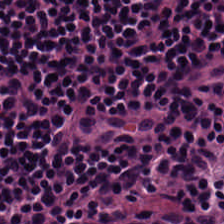H&E stain — {"tissue_type": "lymphocyte aggregate"}
